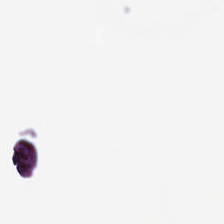Hematoxylin-and-eosin stained section.
The field content is background.
